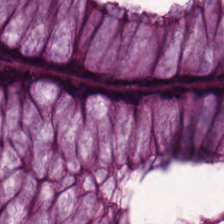Stain: H&E-stained tissue section.
Tissue: benign colonic mucosa.
